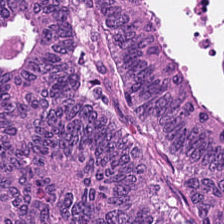0.5 microns per pixel · H&E — Predominantly malignant epithelium.
